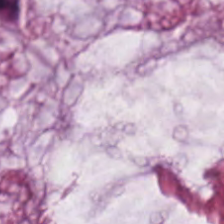Q: What does this patch show?
A: It is mucin.
